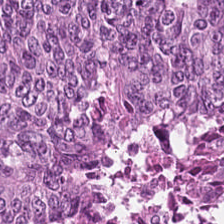20× equivalent magnification · hematoxylin and eosin. Classification = colorectal adenocarcinoma.
